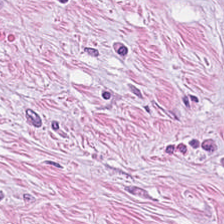Hematoxylin-and-eosin stained section. Brightfield. 224×224 px patch. Impression → cancer-associated stroma.
